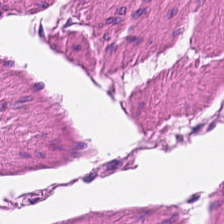Stain: H&E stain.
Tile size: 224×224 px tile.
Preparation: formalin-fixed paraffin-embedded section.
Classification: muscularis.
